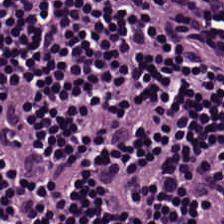H&E patch showing lymphocyte aggregate.
